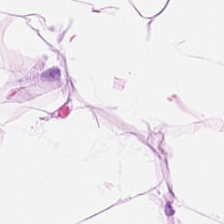H&E stain · 0.5 µm/px.
Q: Identify the tissue.
A: It is fat tissue.
